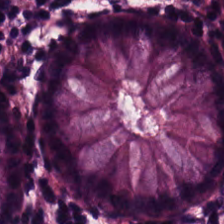Hematoxylin-and-eosin stained section · 224×224 px tile · FFPE.
Finding — normal colonic mucosa.
